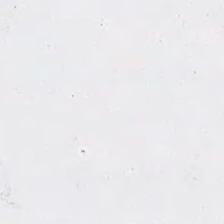Hematoxylin-and-eosin stained section.
{"content": "empty background"}
